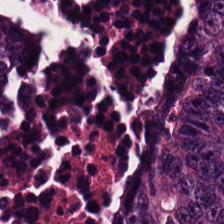H&E stain.
This patch shows adenocarcinoma.
